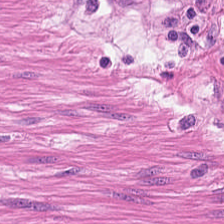Stain: hematoxylin-and-eosin stained section.
Resolution: 0.5 µm per pixel.
Tissue class: smooth-muscle tissue.
